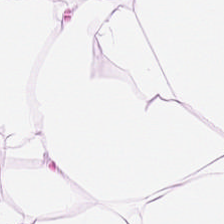Q: What tissue is shown?
A: The field shows fat tissue.
